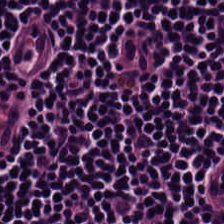224×224 px patch; FFPE; hematoxylin-and-eosin stained section — Tissue type: lymphoid infiltrate.
